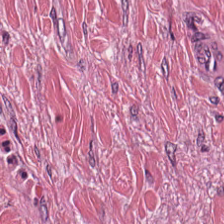Hematoxylin-and-eosin stained section; 224×224 px tile; brightfield microscopy.
Classification = desmoplastic stroma.
